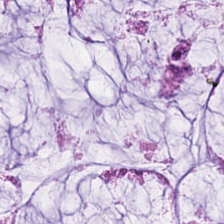Hematoxylin-and-eosin stained section · whole-slide-image patch · formalin-fixed paraffin-embedded section. Showing mucin.
